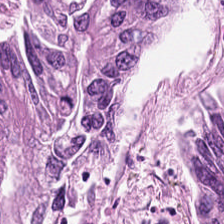Finding → tumor epithelium.
